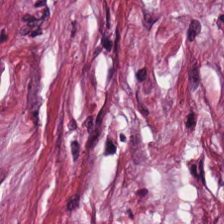H&E.
Tissue class: desmoplastic stroma.
